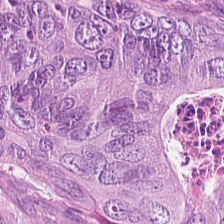H&E-stained tissue section — Q: Identify the tissue.
A: Colorectal adenocarcinoma epithelium.
